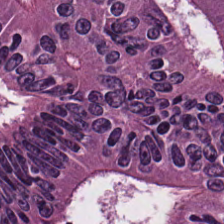FFPE tissue section. Hematoxylin and eosin.
{"tissue_type": "colorectal adenocarcinoma"}
